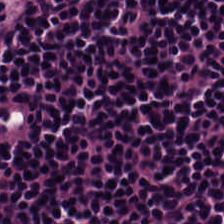H&E-stained tissue section — The tissue here is lymphocyte aggregate.
